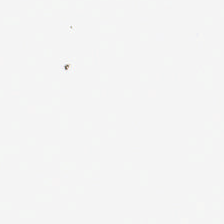Hematoxylin-and-eosin stained section. No tissue.
